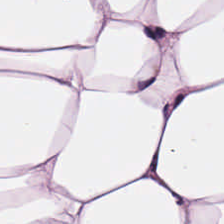Showing adipocytes.
